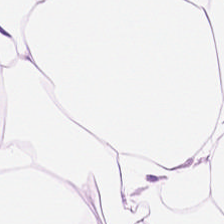0.5 µm/px · hematoxylin and eosin.
Showing adipose.
